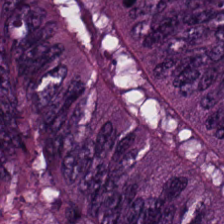Hematoxylin-and-eosin stained section.
The tissue type is colorectal adenocarcinoma.
